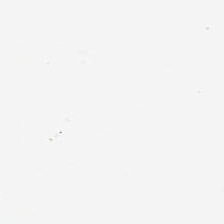Whole-slide-image patch · hematoxylin and eosin.
Q: Classify this patch.
A: No tissue.
